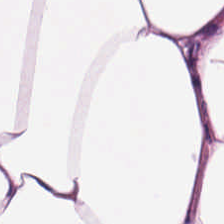H&E stain — Tissue — adipose.
